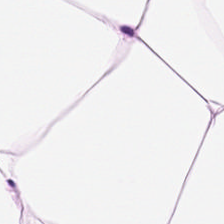Hematoxylin-and-eosin stained section.
Q: What does this patch show?
A: The field shows adipose tissue.
